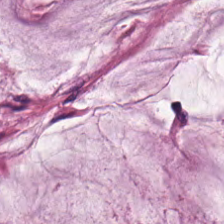H&E.
The tissue here is mucin.
